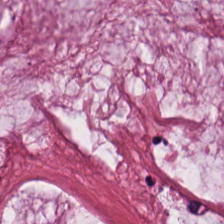H&E stain. {"tissue_type": "mucus"}
